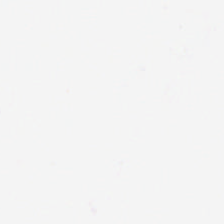H&E-stained tissue section — Content — empty background.
